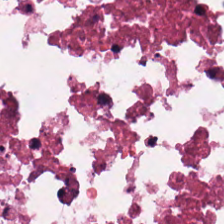H&E stain. Brightfield. Predominantly cellular debris.
